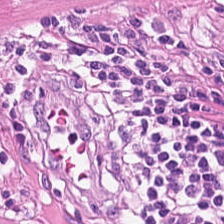H&E-stained tissue section. The tissue here is smooth muscle.
